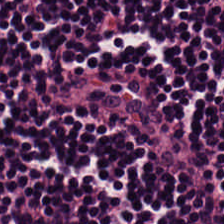H&E-stained tissue section. Q: What is shown here?
A: Lymphocyte aggregate.
